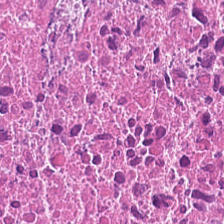Stain: H&E-stained tissue section.
Tile size: 224×224 pixel tile.
Resolution: 0.5 µm/px.
Tissue type: cellular debris.
